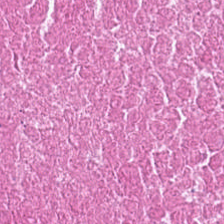Classification = cellular debris.
